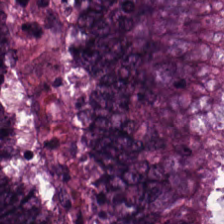Hematoxylin-and-eosin stained section — Histology → adenocarcinoma.
